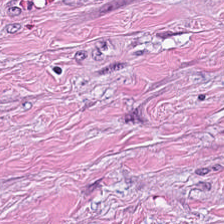Stain: H&E.
Tissue type: tumor stroma.
